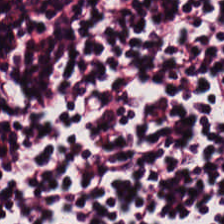H&E-stained tissue section. The predominant tissue is lymphoid infiltrate.
